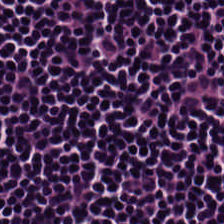H&E-stained tissue section; 224×224 pixel tile.
{"tissue_type": "lymphoid infiltrate"}
